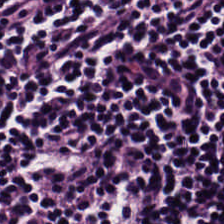Hematoxylin and eosin. Q: What is the predominant tissue type?
A: It is lymphocyte aggregate.
